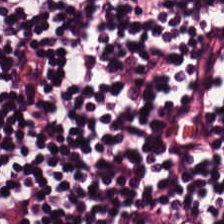224×224 pixel tile. Hematoxylin-and-eosin stained section — Tissue: lymphoid infiltrate.
